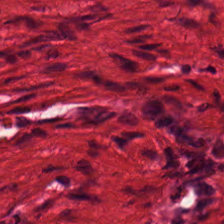Stain: H&E.
Tissue: muscularis.
